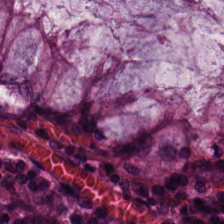Hematoxylin-and-eosin stained section — Q: What is the predominant tissue type?
A: The field shows normal colon mucosa.
